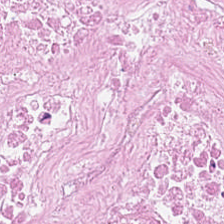Stain: H&E-stained tissue section.
Preparation: formalin-fixed paraffin-embedded section.
Classification: necrotic debris.
